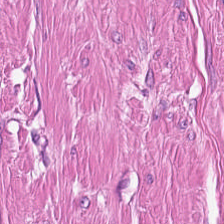Hematoxylin-and-eosin stained section.
Q: What type of tissue is this?
A: Smooth muscle.
